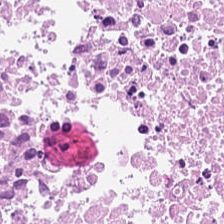Hematoxylin-and-eosin stained section.
The tissue type is necrotic debris.
